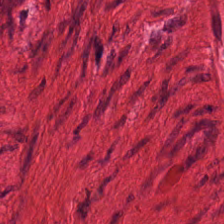20× equivalent magnification · H&E-stained tissue section. Tissue class — smooth-muscle tissue.
